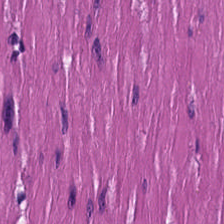H&E-stained tissue section. 224×224 pixel tile. FFPE — Showing smooth muscle.
